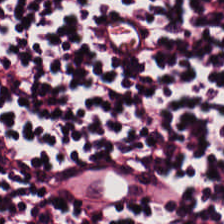Q: What does this patch show?
A: Lymphocyte aggregate.
